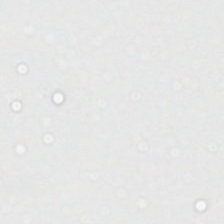Hematoxylin-and-eosin stained section.
This field is background (no tissue).
